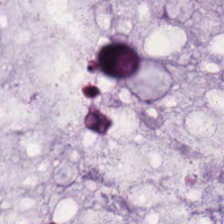Whole-slide-image patch · 20× equivalent magnification · H&E.
Mucus.
